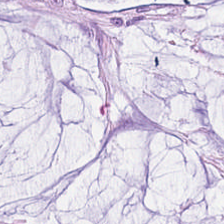Hematoxylin-and-eosin stained section — Predominantly extracellular mucin.
